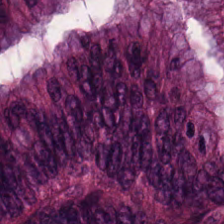Stain: H&E stain.
Predominant tissue: tumor epithelium.
